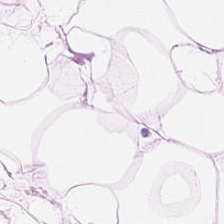FFPE · hematoxylin and eosin.
{"tissue_type": "fat tissue"}
